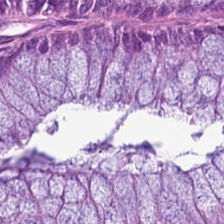H&E stain. This field is normal colon mucosa.
